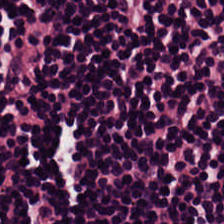Tissue class = lymphocyte aggregate.
